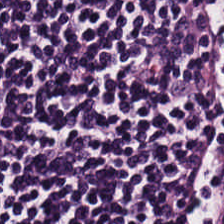H&E-stained tissue section — Q: What is the predominant tissue type?
A: It is lymphocyte aggregate.
